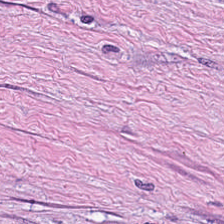Hematoxylin-and-eosin stained section; 224×224 pixel tile; formalin-fixed paraffin-embedded section — Predominant tissue = tumor-associated stroma.
